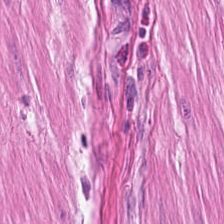H&E stain; FFPE tissue section — Tissue class = smooth muscle.
